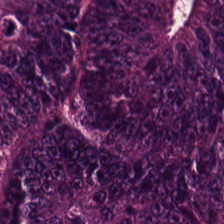H&E — Showing colorectal adenocarcinoma epithelium.
